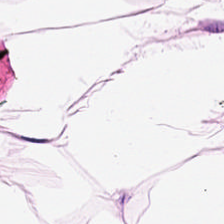0.5 µm per pixel. H&E-stained tissue section. FFPE.
{"tissue_type": "adipocytes"}
